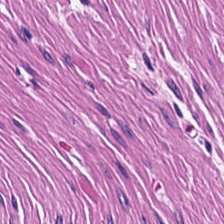Hematoxylin and eosin — Muscularis.
